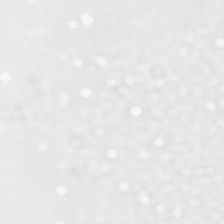H&E-stained tissue section — This field is background (no tissue).
